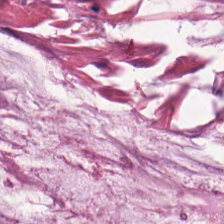Hematoxylin-and-eosin stained section — Q: Classify this patch.
A: The field shows extracellular mucin.
